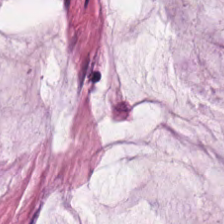Hematoxylin and eosin — Tissue class — mucus.
